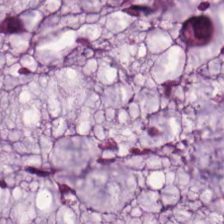Hematoxylin and eosin — Q: What is shown here?
A: Mucus.
